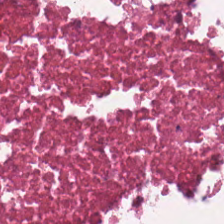0.5 µm/px; H&E; FFPE tissue section. Finding — debris.
